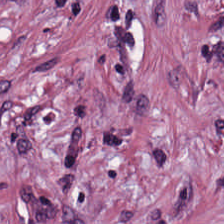Tissue type — cancer-associated stroma.
